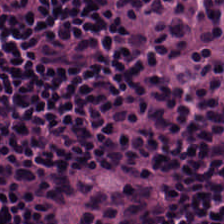Q: What does this patch show?
A: This is lymphocyte aggregate.
